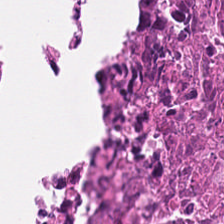224×224 px patch; H&E-stained tissue section — This field is necrotic debris.
